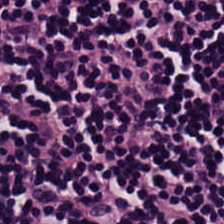Stain: H&E-stained tissue section.
Predominant tissue: lymphocyte aggregate.
